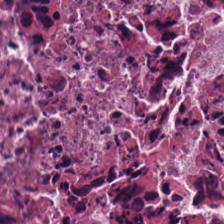Hematoxylin and eosin — The predominant tissue is debris.
